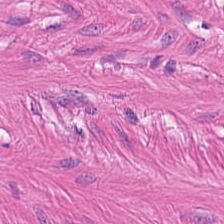Hematoxylin and eosin. Brightfield. 0.5 microns per pixel — Showing smooth muscle.
